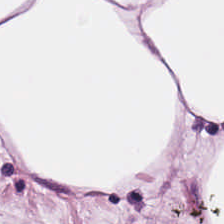Hematoxylin-and-eosin stained section.
Q: What is shown here?
A: The field shows fat tissue.
